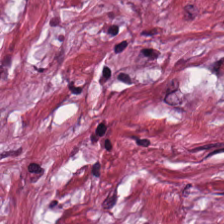Hematoxylin-and-eosin stained section · WSI patch.
This patch shows tumor-associated stroma.
